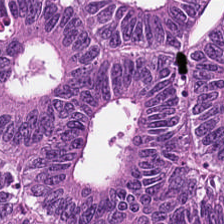Brightfield microscopy; H&E stain; 0.5 µm/px — This field is adenocarcinoma.
